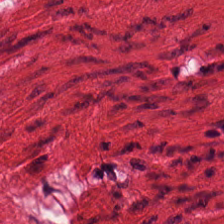Hematoxylin and eosin — The tissue is smooth muscle.
